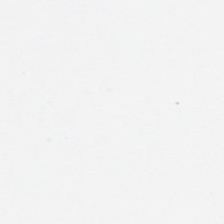H&E-stained tissue section · 224×224 pixel tile. Background — no tissue in this field.
